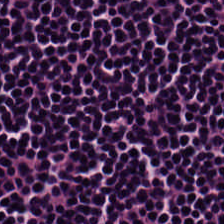Hematoxylin and eosin.
Predominant tissue — lymphocytes.
